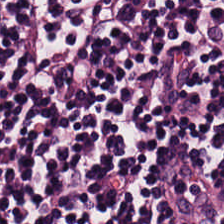H&E-stained tissue section; 224×224 px tile; whole-slide-image patch.
Q: What tissue type is shown here?
A: This is lymphoid infiltrate.
